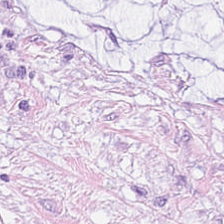Hematoxylin and eosin — The predominant tissue is extracellular mucin.
